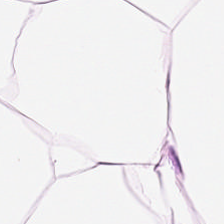H&E. Q: What tissue is shown?
A: It is adipose tissue.
